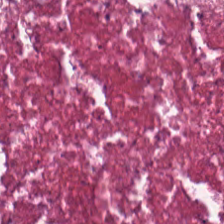224×224 px patch. H&E-stained tissue section.
Predominant tissue — debris.
